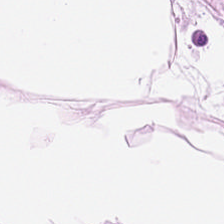Stain: H&E.
Predominant tissue: adipose tissue.
